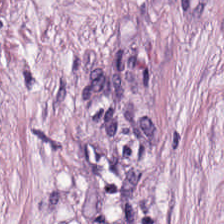Hematoxylin-and-eosin stained section · 20× equivalent magnification. The tissue here is cancer-associated stroma.
